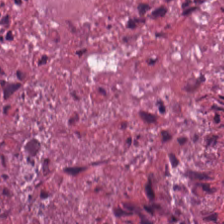Whole-slide-image patch. Hematoxylin-and-eosin stained section.
This patch shows cellular debris.
